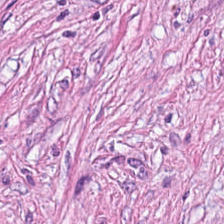Hematoxylin and eosin; FFPE tissue section; 224×224 px tile. Histology — cancer-associated stroma.
